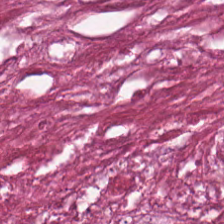Hematoxylin and eosin.
The classification is necrotic debris.
